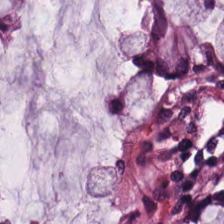H&E stain.
Tissue — normal colonic mucosa.
